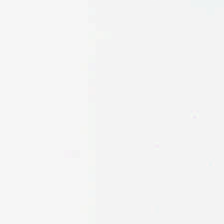Formalin-fixed paraffin-embedded section; H&E-stained tissue section.
No tissue present; background only.
